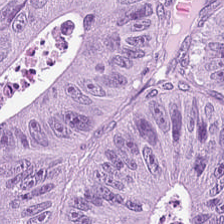Hematoxylin-and-eosin stained section.
The tissue here is adenocarcinoma.
